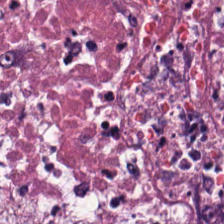H&E-stained tissue section. The predominant tissue is cellular debris.
